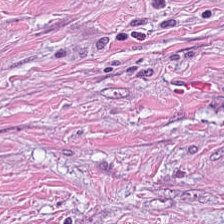Hematoxylin-and-eosin stained section · 224×224 px patch.
Finding → tumor stroma.
